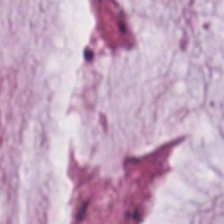Stain: H&E-stained tissue section.
Tile size: 224×224 px tile.
Acquisition: brightfield microscopy.
Tissue class: mucin.
